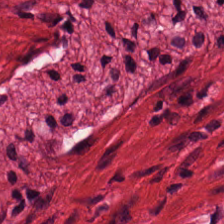Brightfield microscopy · H&E — Q: What type of tissue is this?
A: Smooth-muscle tissue.
